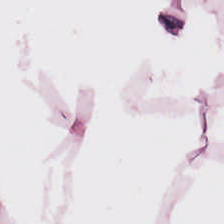H&E.
Tissue type: adipocytes.
